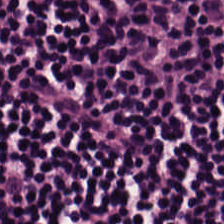Formalin-fixed paraffin-embedded section; 0.5 µm per pixel; H&E stain. Tissue: lymphocytes.
